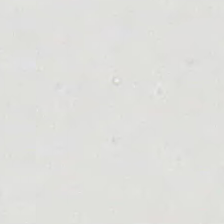Brightfield microscopy. H&E stain — Background — no tissue in this field.
